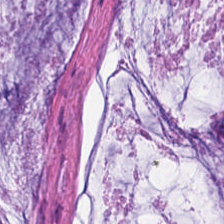The classification is extracellular mucin.
